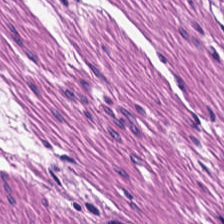H&E-stained section; the field shows muscularis.
